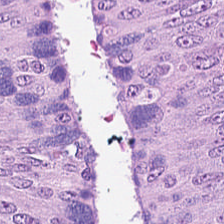Hematoxylin and eosin. Histology — tumor epithelium.
